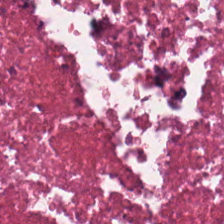WSI patch · H&E.
Necrotic debris.
